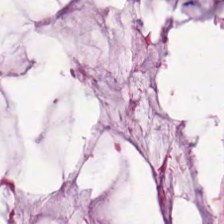H&E-stained tissue section · whole-slide-image patch — Histology → mucus.
